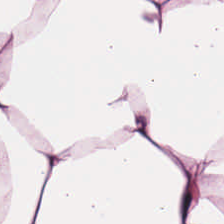FFPE · 224×224 pixel tile · H&E-stained tissue section. Histology → adipose tissue.
